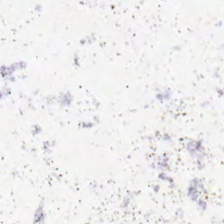H&E.
Field content = no tissue.
